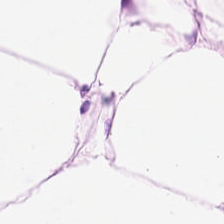H&E-stained tissue section; FFPE tissue section; WSI patch.
Tissue class: adipocytes.
